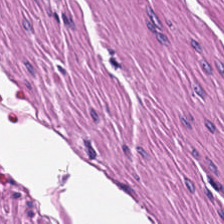H&E. 224×224 px tile.
Tissue type = smooth-muscle tissue.
